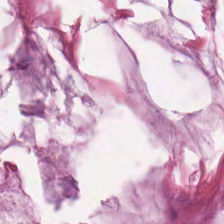Brightfield microscopy; H&E. Q: What is the predominant tissue type?
A: The field shows extracellular mucin.
